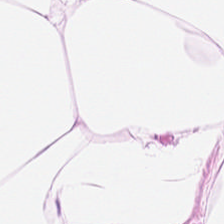H&E-stained tissue section. This field is adipose.
